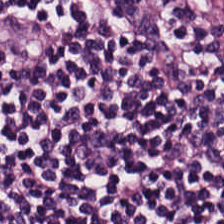H&E-stained tissue section; 224×224 px tile.
This patch shows lymphocytes.
